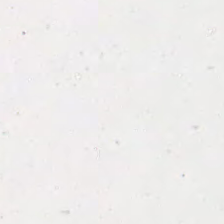Field content = no tissue.
